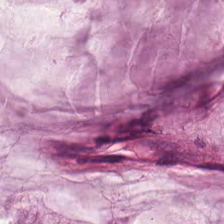Hematoxylin and eosin; FFPE tissue section — Showing mucin.
